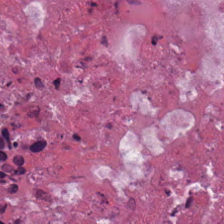H&E stain.
Impression → necrotic debris.
